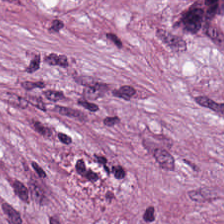Q: What is shown here?
A: It is desmoplastic stroma.
